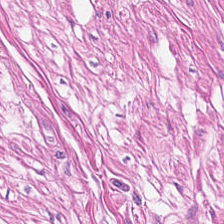{"tissue_type": "muscularis"}
